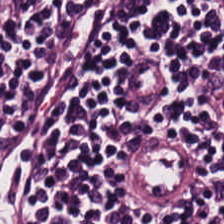H&E patch showing lymphocytes.
